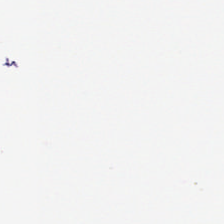No tissue.
